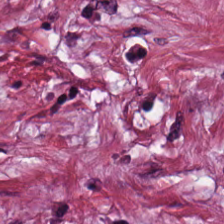Brightfield · formalin-fixed paraffin-embedded section · H&E stain.
Q: What tissue is shown?
A: It is cancer-associated stroma.
